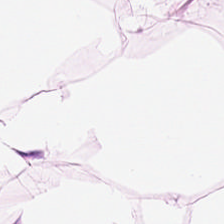224×224 px tile. Hematoxylin-and-eosin stained section — This field is fat tissue.
